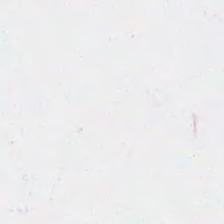Classification = empty background.
